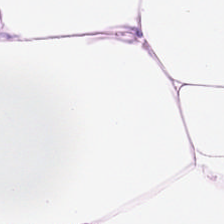Hematoxylin-and-eosin stained section. Impression — adipocytes.
